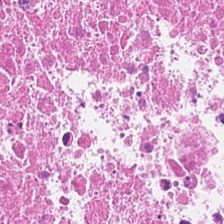H&E stain — {"tissue_type": "cellular debris"}
